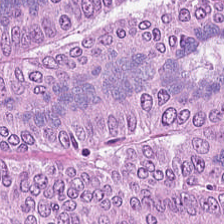H&E — adenocarcinoma.
